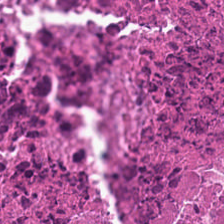Stain: H&E stain.
Preparation: FFPE.
Predominant tissue: cellular debris.
